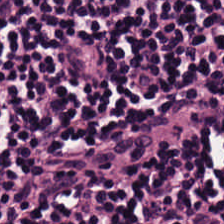Stain: H&E.
Classification: lymphoid infiltrate.
